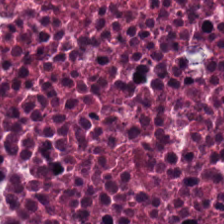Hematoxylin-and-eosin stained section.
Tissue type — necrotic debris.
